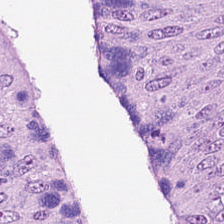H&E stain — The predominant tissue is adenocarcinoma.
